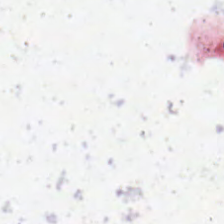Empty field — empty background.
